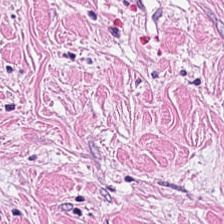Formalin-fixed paraffin-embedded section. Hematoxylin-and-eosin stained section.
This field is tumor-associated stroma.
